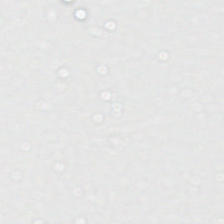Classification: background (no tissue).
